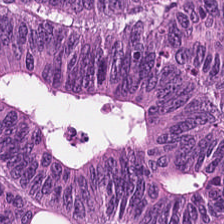Stain: H&E-stained tissue section.
Acquisition: WSI patch.
Predominant tissue: colorectal adenocarcinoma.
